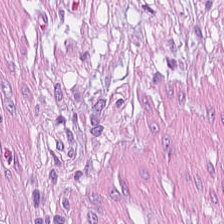H&E · FFPE tissue section. Tissue — cancer-associated stroma.
